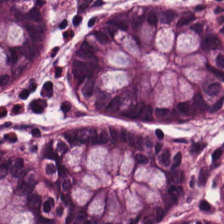224×224 px tile; FFPE tissue section; hematoxylin-and-eosin stained section.
Q: What does this patch show?
A: This is non-neoplastic colon mucosa.
